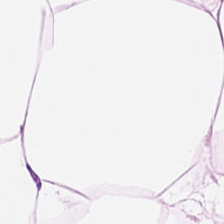224×224 px tile · 20× equivalent magnification · hematoxylin-and-eosin stained section.
{"tissue_type": "adipose tissue"}
